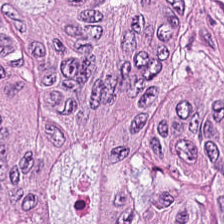The tissue type is colorectal adenocarcinoma epithelium.
